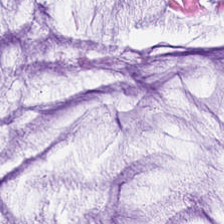H&E-stained tissue section. Extracellular mucin.
